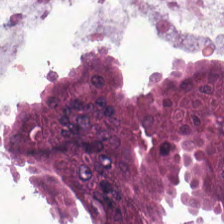Hematoxylin and eosin; brightfield microscopy.
Impression → mucus.
